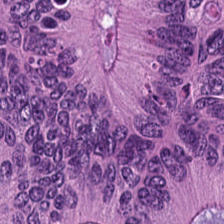Hematoxylin and eosin. The classification is adenocarcinoma.
